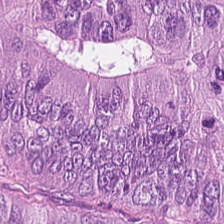Stain: H&E stain.
Resolution: 0.5 µm per pixel.
Preparation: FFPE tissue section.
Classification: colorectal adenocarcinoma.
